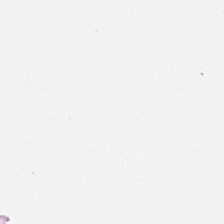H&E-stained tissue section — Content — background (no tissue).
